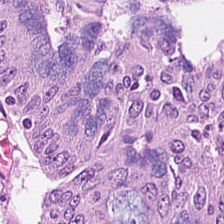Tissue type = colorectal adenocarcinoma epithelium.
